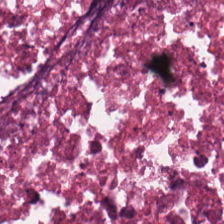H&E.
Classification = debris.
